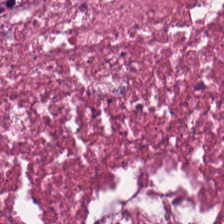H&E-stained tissue section.
The tissue here is debris.
